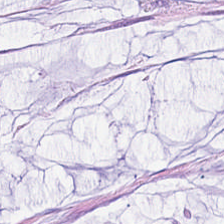H&E stain — Q: What tissue type is shown here?
A: This is extracellular mucin.
